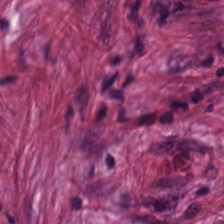H&E; 224×224 pixel tile — Tissue — desmoplastic stroma.
